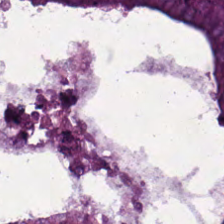FFPE; hematoxylin-and-eosin stained section — The tissue here is adenocarcinoma.
